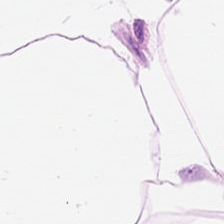H&E stain — Q: What does this patch show?
A: It is fat tissue.
